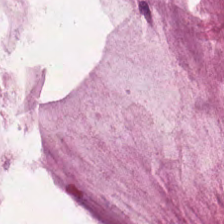H&E-stained tissue section showing mucin.
